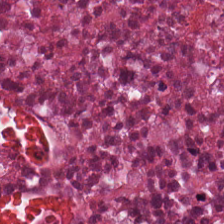Q: What tissue is shown?
A: The field shows necrotic debris.
